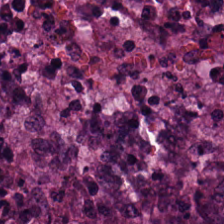Hematoxylin-and-eosin stained section. Tissue — adenocarcinoma.
